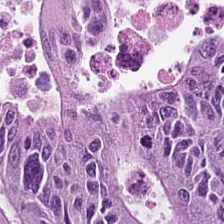224×224 px patch · H&E-stained tissue section — Q: What tissue type is shown here?
A: The field shows colorectal adenocarcinoma.
